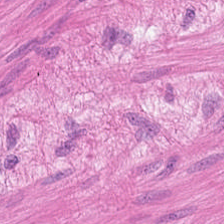H&E patch showing muscularis.
